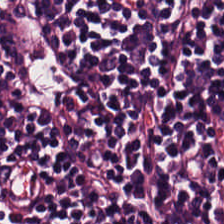H&E-stained tissue section · 224×224 px tile.
Q: What tissue is shown?
A: The field shows lymphocytic infiltrate.
